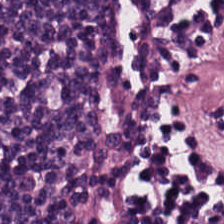20× equivalent magnification; H&E; FFPE tissue section. This field is lymphocytes.
